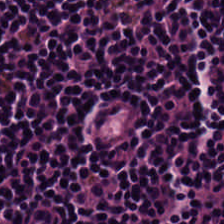224×224 px tile; FFPE tissue section; H&E. Tissue — lymphocyte aggregate.
